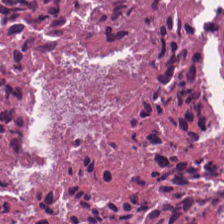Cellular debris.
